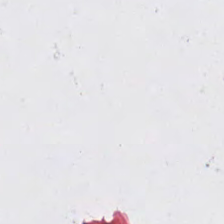Stain: H&E stain.
Acquisition: brightfield microscopy.
Content: background.
